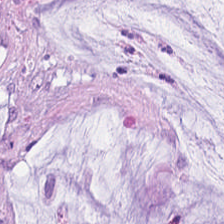Predominant tissue = mucin.
